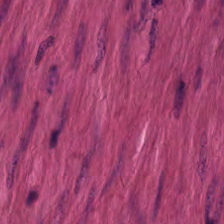Hematoxylin-and-eosin stained section. This field is smooth muscle.
